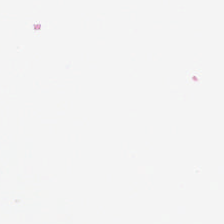Hematoxylin-and-eosin stained section · formalin-fixed paraffin-embedded section.
Q: What is shown in this field?
A: This is no tissue.
